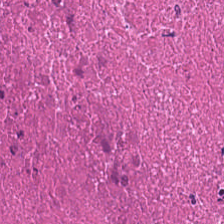H&E stain — The tissue here is necrotic debris.
